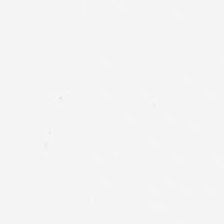H&E-stained tissue section.
Content — empty background.
